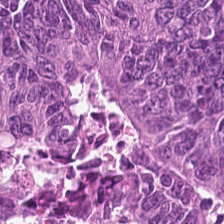H&E-stained tissue section showing colorectal adenocarcinoma.
